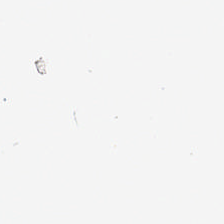Q: What does this patch show?
A: This is background.
